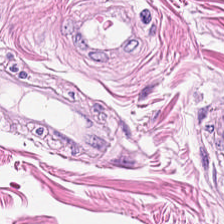Tissue class = smooth-muscle tissue.
